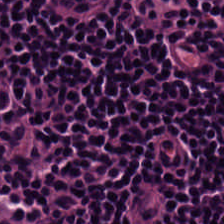Hematoxylin-and-eosin stained section. FFPE. 224×224 pixel tile.
The predominant tissue is lymphoid infiltrate.
